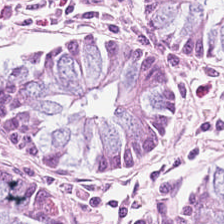Hematoxylin and eosin. The tissue here is normal colon mucosa.
